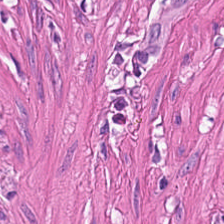Hematoxylin and eosin. Showing smooth-muscle tissue.
